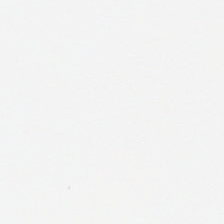224×224 px patch; hematoxylin-and-eosin stained section; 0.5 microns per pixel. The field content is background.
